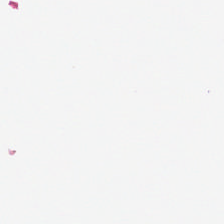224×224 px tile; hematoxylin-and-eosin stained section.
No tissue present; background only.
